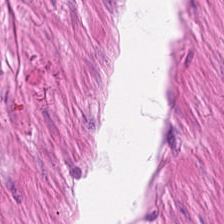H&E stain; WSI patch.
Q: What tissue type is shown here?
A: The field shows smooth-muscle tissue.
